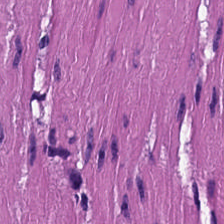Hematoxylin-and-eosin stained section · 0.5 µm per pixel.
Q: Classify this patch.
A: This is smooth muscle.
